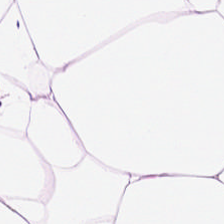Finding — adipose tissue.
